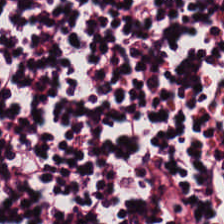Whole-slide-image patch; hematoxylin-and-eosin stained section — Predominantly lymphocytic infiltrate.
